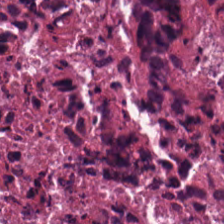H&E. Finding → cellular debris.
